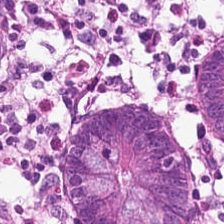H&E — Tissue type: non-neoplastic colon mucosa.
